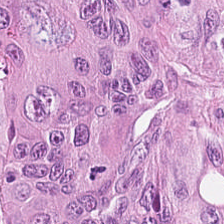This patch shows colorectal adenocarcinoma epithelium.
